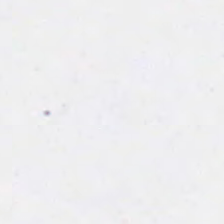Hematoxylin-and-eosin stained section — Q: What does this patch show?
A: Empty background.
